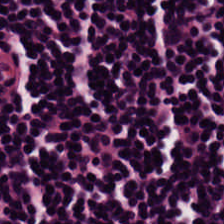224×224 px patch; WSI patch; H&E.
Showing lymphocytic infiltrate.
